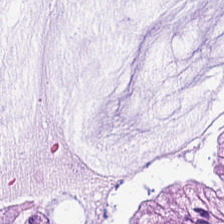Hematoxylin-and-eosin stained section — Q: Identify the tissue.
A: It is mucin.
